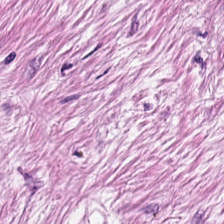H&E stain.
Q: What type of tissue is this?
A: It is tumor-associated stroma.
